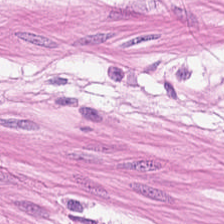Formalin-fixed paraffin-embedded section; H&E stain; 0.5 µm per pixel — Q: Identify the tissue.
A: Smooth-muscle tissue.
